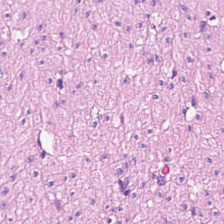224×224 px patch · H&E — Tissue — smooth-muscle tissue.
